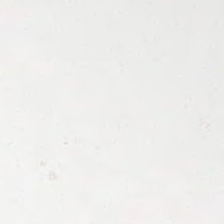The content is background.
